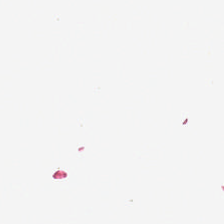Hematoxylin and eosin — {"content": "no tissue"}
